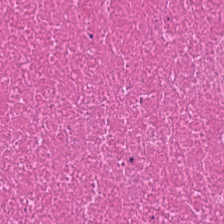H&E stain — Necrotic debris.
